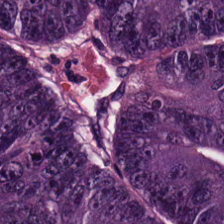Brightfield microscopy. Hematoxylin-and-eosin stained section.
Q: What tissue type is shown here?
A: The field shows malignant epithelium.
